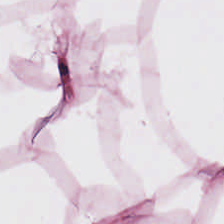H&E-stained tissue section — Q: What type of tissue is this?
A: The field shows adipocytes.
